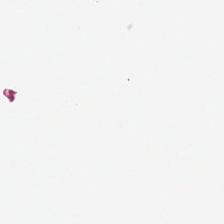Hematoxylin and eosin; 0.5 microns per pixel. Field content: background (no tissue).
